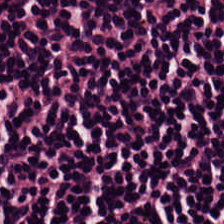H&E stain. The predominant tissue is lymphocytes.
